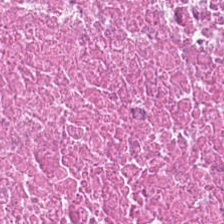Cellular debris.
